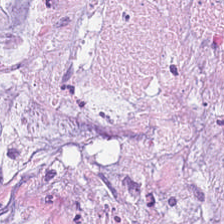Tissue = mucus.
